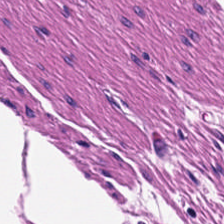Q: What is shown here?
A: Smooth-muscle tissue.
